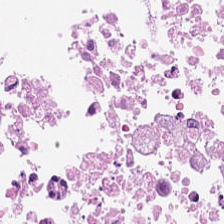The predominant tissue is cellular debris.
